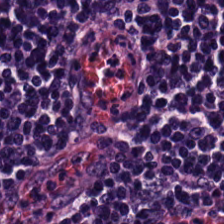H&E stain. Brightfield.
Showing lymphocytes.
